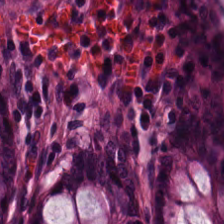Stain: H&E stain.
Tissue class: non-neoplastic colon mucosa.
